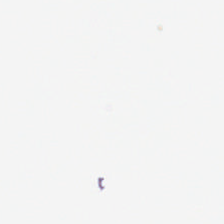H&E stain. No tissue present; background only.
